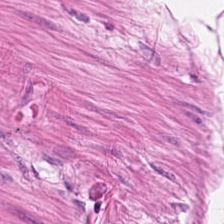FFPE. Hematoxylin and eosin — Predominant tissue: smooth-muscle tissue.
